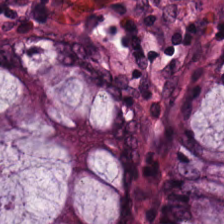H&E-stained tissue section · 0.5 µm/px — Tissue = non-neoplastic colon mucosa.
